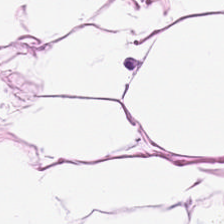Hematoxylin-and-eosin stained section — Classification — adipocytes.
